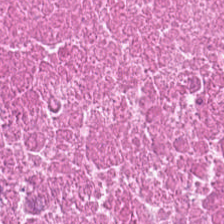Hematoxylin-and-eosin stained section — The tissue here is debris.
